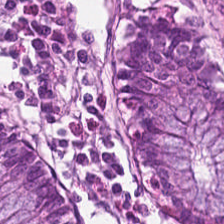Hematoxylin and eosin; 0.5 microns per pixel.
Impression → benign colonic mucosa.
